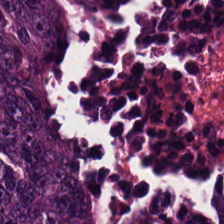H&E-stained section; the field shows colorectal adenocarcinoma epithelium.
